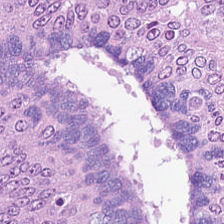Finding — colorectal adenocarcinoma epithelium.
